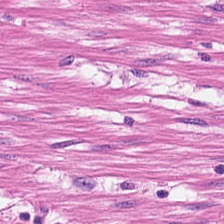Showing smooth muscle.
